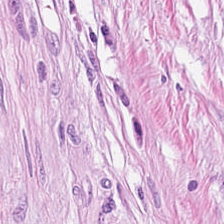H&E-stained tissue section.
Tissue class — desmoplastic stroma.
